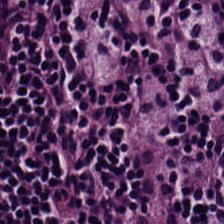Classification = lymphoid infiltrate.
